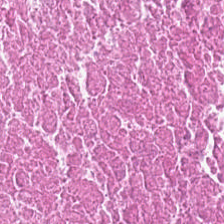0.5 µm per pixel. Hematoxylin and eosin. 224×224 pixel tile.
{"tissue_type": "necrotic debris"}
